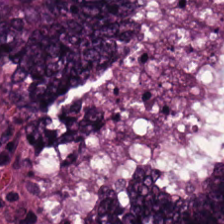Brightfield; hematoxylin-and-eosin stained section.
Classification: tumor epithelium.
